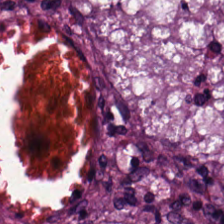Hematoxylin-and-eosin section: colorectal adenocarcinoma epithelium.
